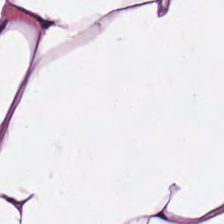Q: What is shown in this field?
A: The field shows adipocytes.
